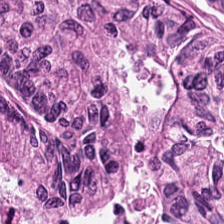Hematoxylin and eosin. Impression — malignant epithelium.
